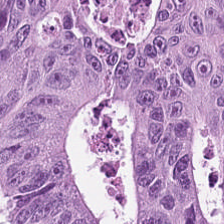H&E-stained tissue section — The tissue type is colorectal adenocarcinoma epithelium.
